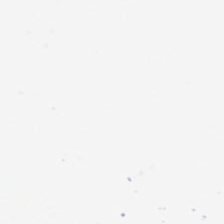Stain: hematoxylin-and-eosin stained section.
Classification: background (no tissue).
